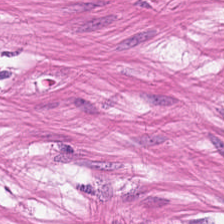H&E stain · FFPE tissue section — Showing muscularis.
